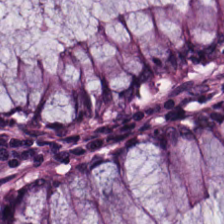H&E stain — This patch shows normal colonic mucosa.
